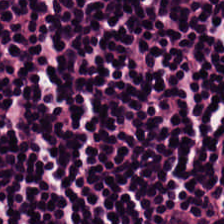Stain: hematoxylin and eosin.
Preparation: FFPE.
Tissue: lymphoid infiltrate.
